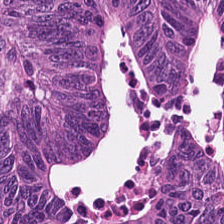Predominantly tumor epithelium.
